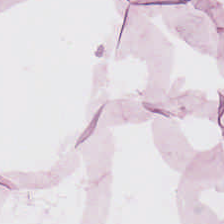Classification = adipose.
